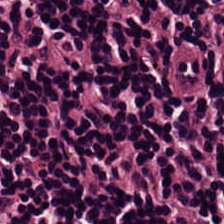Stain: H&E stain.
Tissue class: lymphocytes.
